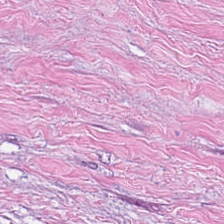The tissue class is cancer-associated stroma.
